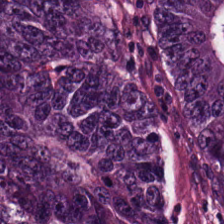Tissue class = colorectal adenocarcinoma epithelium.
